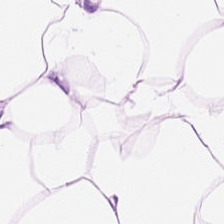H&E — Showing adipose tissue.
